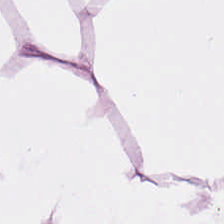{"tissue_type": "adipose"}
